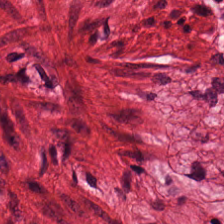Classification = smooth-muscle tissue.
